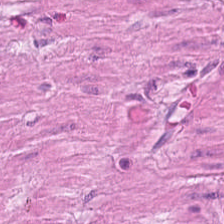Finding → smooth-muscle tissue.
